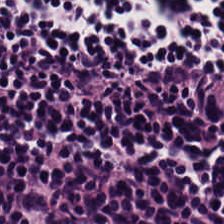WSI patch · FFPE tissue section · H&E stain.
Tissue type — lymphocyte aggregate.
